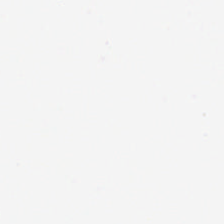No tissue present; background only.
